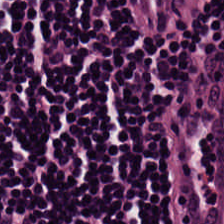H&E-stained tissue section; whole-slide-image patch; 224×224 pixel tile. The predominant tissue is lymphocytic infiltrate.
